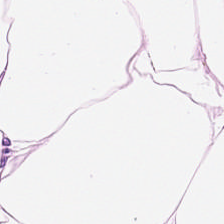Hematoxylin-and-eosin stained section. Showing adipose.
